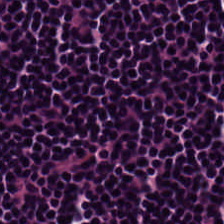Hematoxylin-and-eosin stained section; 224×224 px tile — Q: Classify this patch.
A: The field shows lymphoid infiltrate.
